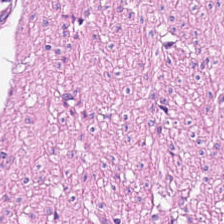0.5 µm/px; H&E stain — Showing smooth-muscle tissue.
